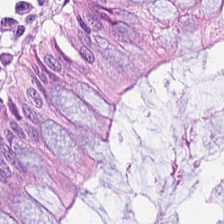Hematoxylin-and-eosin stained section.
Q: What tissue type is shown here?
A: It is benign colonic mucosa.
